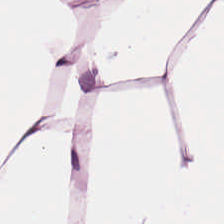224×224 px patch · FFPE tissue section · H&E-stained tissue section — Q: What is shown in this field?
A: This is adipose.
